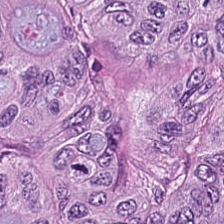Finding → adenocarcinoma.
